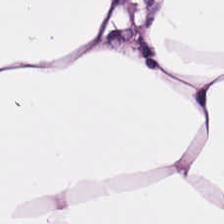FFPE. 0.5 µm/px. H&E stain.
Showing adipocytes.
